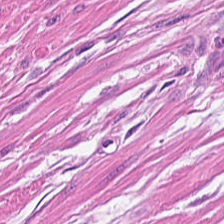Hematoxylin and eosin · FFPE tissue section · 0.5 µm per pixel — Predominant tissue: muscularis.
